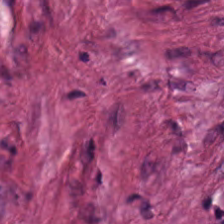224×224 px tile. 0.5 microns per pixel. Hematoxylin-and-eosin stained section. This patch shows tumor-associated stroma.
